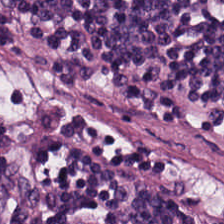Hematoxylin and eosin. Lymphocytes.
